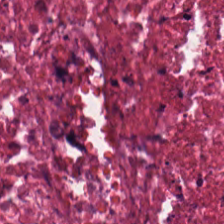H&E — necrotic debris.
